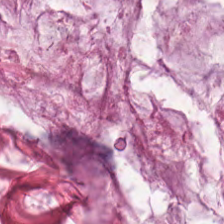H&E-stained tissue section. Brightfield microscopy — Q: What tissue type is shown here?
A: The field shows extracellular mucin.
